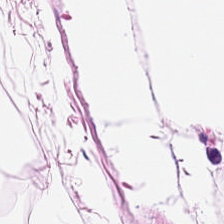Brightfield · 0.5 microns per pixel · H&E stain — This patch shows adipocytes.
